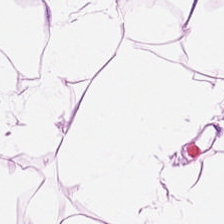H&E — adipocytes.
